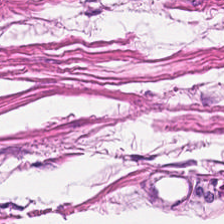Stain: H&E stain.
Tissue: muscularis.
